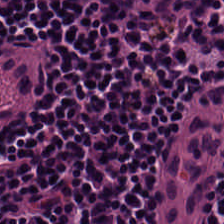The tissue here is lymphocytes.
